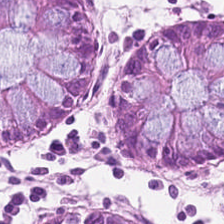Q: What tissue type is shown here?
A: The field shows normal colonic mucosa.
